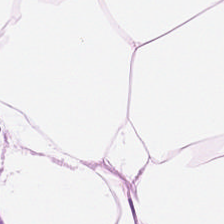H&E-stained tissue section — Predominant tissue = adipose.
